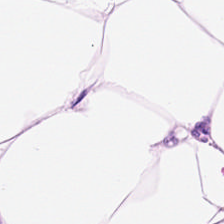FFPE. H&E. 0.5 µm per pixel — This field is fat tissue.
